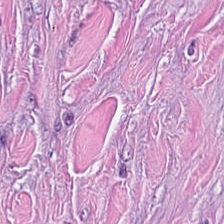Classification: cancer-associated stroma.
